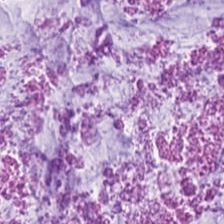H&E stain — Finding → mucus.
